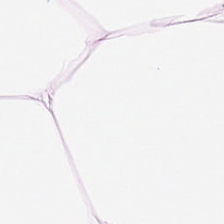Tissue type — adipocytes.
